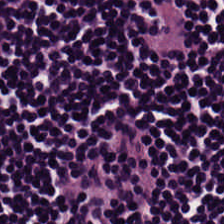Formalin-fixed paraffin-embedded section · 224×224 px patch · H&E-stained tissue section.
Q: Classify this patch.
A: The field shows lymphoid infiltrate.
